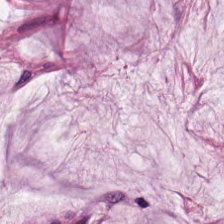The tissue type is extracellular mucin.
